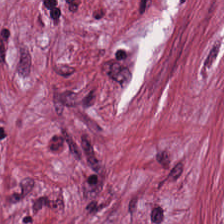Hematoxylin and eosin · 0.5 µm per pixel. This patch shows tumor stroma.
